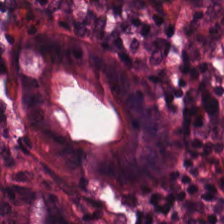The tissue here is normal colonic mucosa.
